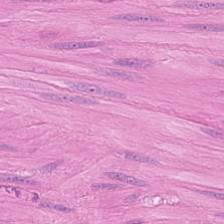H&E stain — Showing muscularis.
